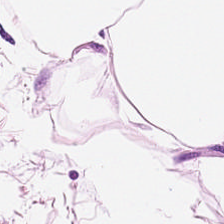Stain: hematoxylin and eosin.
Classification: adipocytes.
